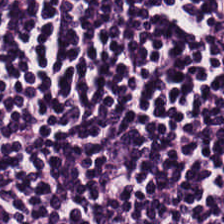Tissue — lymphoid infiltrate.
